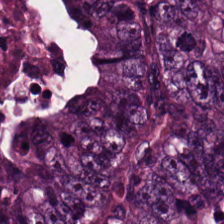Q: What is shown here?
A: Adenocarcinoma.
